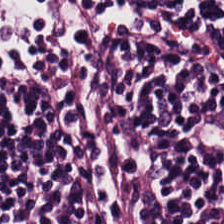H&E-stained tissue section.
The tissue class is lymphoid infiltrate.
